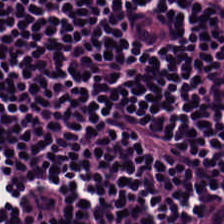224×224 pixel tile · H&E-stained tissue section · whole-slide-image patch.
Tissue class — lymphocytes.
